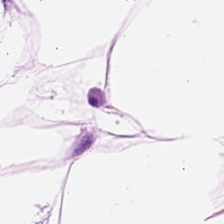H&E-stained tissue section; formalin-fixed paraffin-embedded section — The tissue class is adipose.
